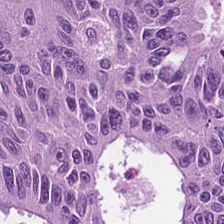This field is adenocarcinoma.
